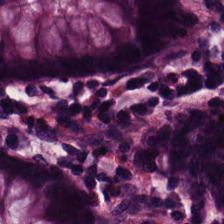Stain: H&E-stained tissue section.
Preparation: FFPE tissue section.
Tissue class: benign colonic mucosa.
